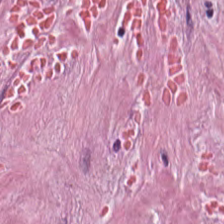H&E stain — Q: What tissue type is shown here?
A: It is cancer-associated stroma.
